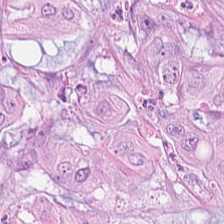20× equivalent magnification; H&E — Impression — malignant epithelium.
